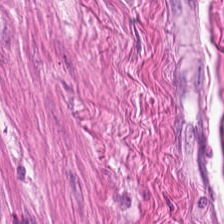Hematoxylin-and-eosin stained section. Q: What tissue type is shown here?
A: It is smooth muscle.
